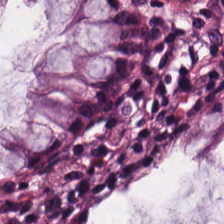H&E patch showing normal colon mucosa.
